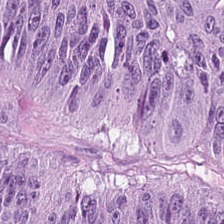Brightfield; H&E-stained tissue section.
The tissue here is malignant epithelium.
